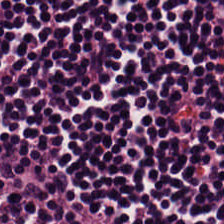H&E. This field is lymphoid infiltrate.
